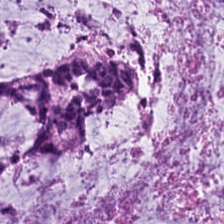H&E · brightfield microscopy. Tissue — mucus.
